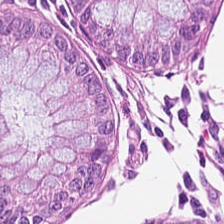Q: Classify this patch.
A: Normal colon mucosa.
